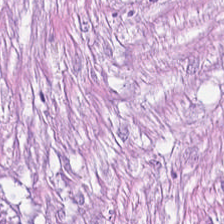Hematoxylin-and-eosin stained section. {"tissue_type": "desmoplastic stroma"}
